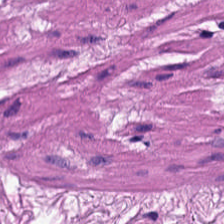Classification = muscularis.
